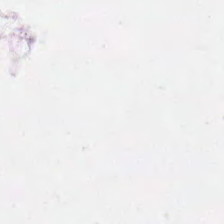Classification: no tissue.
